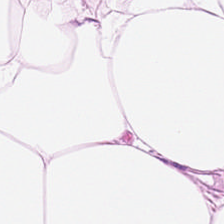H&E patch showing adipocytes.
